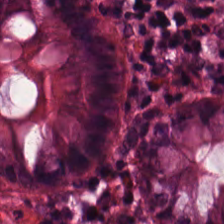Q: What is the predominant tissue type?
A: Normal colonic mucosa.
